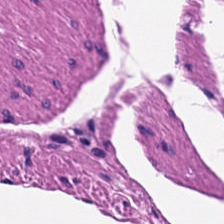Hematoxylin-and-eosin stained section. Muscularis.
